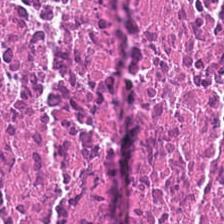H&E — The tissue here is necrotic debris.
